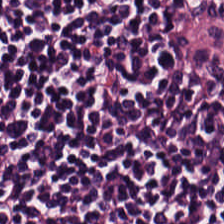Hematoxylin and eosin.
Showing lymphocytic infiltrate.
